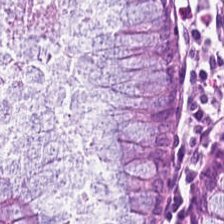Stain: H&E stain.
Tissue type: normal colonic mucosa.
